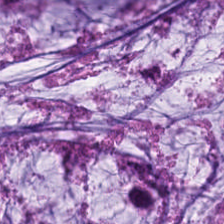H&E-stained tissue section; FFPE. Q: What is the predominant tissue type?
A: The field shows mucin.
